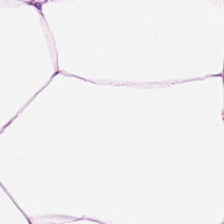Hematoxylin and eosin; FFPE. Showing fat tissue.
